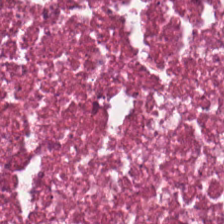Brightfield microscopy; H&E-stained tissue section; 0.5 µm/px.
Predominantly debris.
